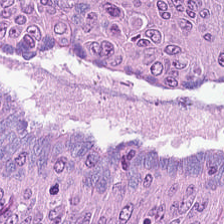H&E-stained tissue section.
Q: What tissue type is shown here?
A: The field shows colorectal adenocarcinoma epithelium.
